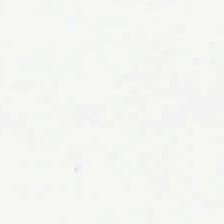H&E stain · formalin-fixed paraffin-embedded section · 224×224 pixel tile. The classification is background (no tissue).
